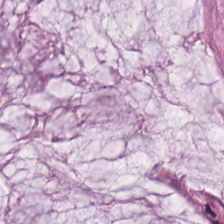Hematoxylin and eosin. Brightfield.
Histology — extracellular mucin.
